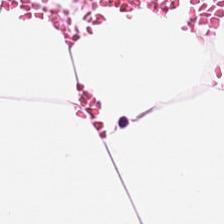H&E — adipose tissue.
